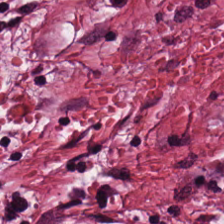Hematoxylin-and-eosin stained section; WSI patch.
Classification = cancer-associated stroma.
